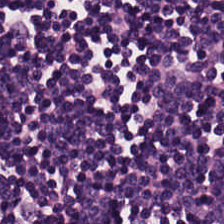Hematoxylin and eosin; FFPE; WSI patch.
Lymphocyte aggregate.
